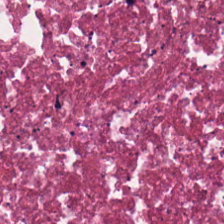Q: Classify this patch.
A: Necrotic debris.
